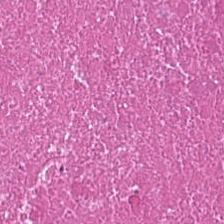The tissue is cellular debris.
